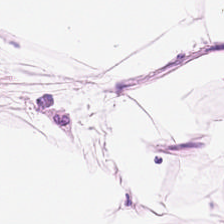H&E-stained tissue section. 0.5 µm/px. Impression → adipose.
